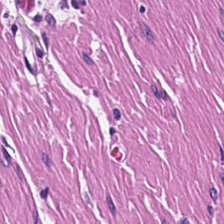Hematoxylin and eosin. Showing smooth-muscle tissue.
